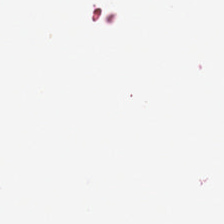Hematoxylin and eosin; 224×224 px patch; 0.5 µm per pixel — Impression → background.
